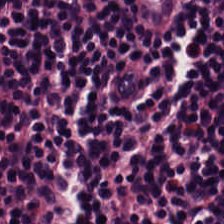0.5 microns per pixel. H&E-stained tissue section. Tissue type — lymphoid infiltrate.
